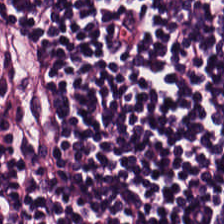Stain: hematoxylin-and-eosin stained section.
Tissue: lymphoid infiltrate.
